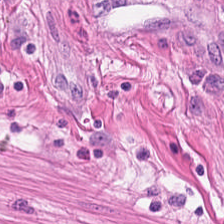H&E patch showing muscularis.
